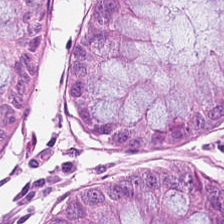H&E stain.
Q: What is the predominant tissue type?
A: This is normal colonic mucosa.
